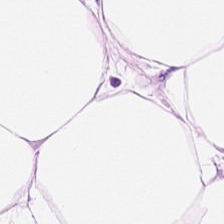Stain: hematoxylin-and-eosin stained section.
Resolution: 0.5 µm per pixel.
Classification: adipose.
